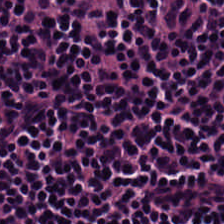Formalin-fixed paraffin-embedded section. H&E. The predominant tissue is lymphocyte aggregate.
